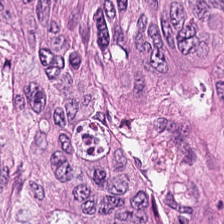Whole-slide-image patch. H&E-stained tissue section. Tumor epithelium.
